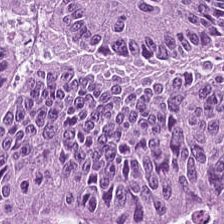Stain: H&E.
Tissue class: malignant epithelium.
